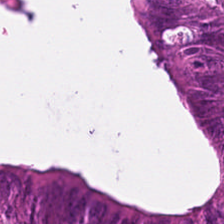Stain: H&E.
Preparation: formalin-fixed paraffin-embedded section.
Acquisition: brightfield.
Classification: malignant epithelium.
